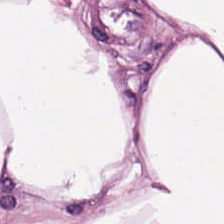H&E stain — Predominantly fat tissue.
